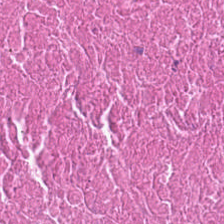Hematoxylin-and-eosin stained section; 0.5 µm per pixel — The tissue class is necrotic debris.
